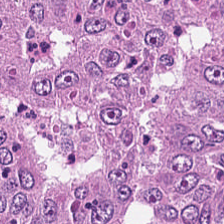Stain: H&E-stained tissue section.
Resolution: 0.5 microns per pixel.
Predominant tissue: colorectal adenocarcinoma.
